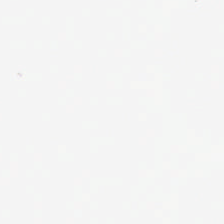Finding — background.
